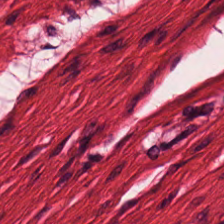Q: What tissue type is shown here?
A: Smooth muscle.
